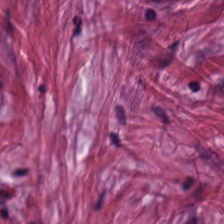Hematoxylin and eosin. Desmoplastic stroma.
